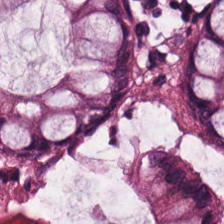Stain: H&E-stained tissue section.
Acquisition: brightfield.
Predominant tissue: benign colonic mucosa.
